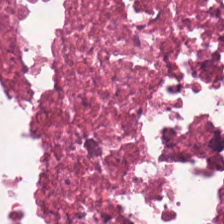Hematoxylin-and-eosin section: cellular debris.
